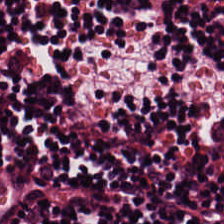Hematoxylin-and-eosin stained section · whole-slide-image patch · 0.5 µm/px. Predominantly lymphocytic infiltrate.
